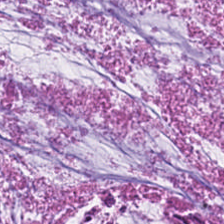Hematoxylin and eosin — The predominant tissue is mucus.
